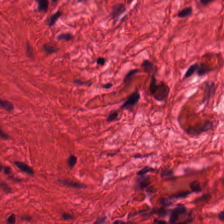H&E-stained tissue section. Brightfield. The predominant tissue is muscularis.
